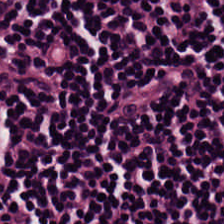H&E-stained tissue section · FFPE tissue section. Tissue type — lymphocytes.
